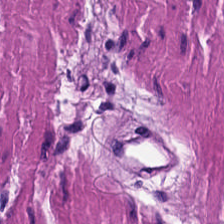H&E-stained tissue section.
Impression — muscularis.
